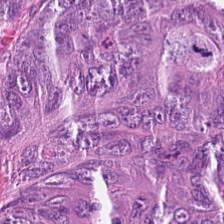Hematoxylin-and-eosin stained section — Predominant tissue — adenocarcinoma.
